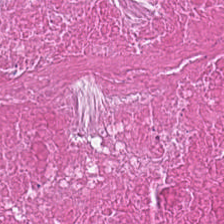Hematoxylin and eosin.
The predominant tissue is cellular debris.
